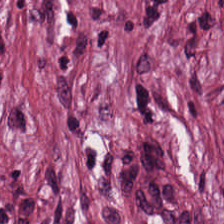Stain: H&E.
Tissue: tumor-associated stroma.
